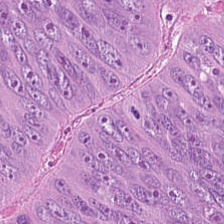Stain: H&E stain.
Tissue type: adenocarcinoma.
